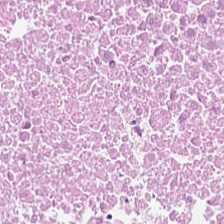Whole-slide-image patch · hematoxylin and eosin · 224×224 pixel tile.
Predominantly necrotic debris.
